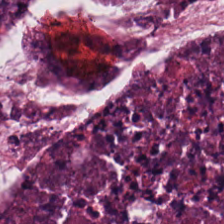FFPE tissue section. Hematoxylin and eosin. Tissue type: cellular debris.
